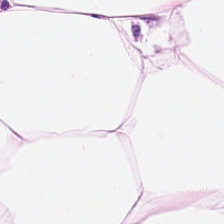Impression — adipose.
